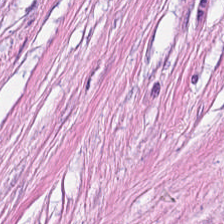H&E — tumor-associated stroma.
